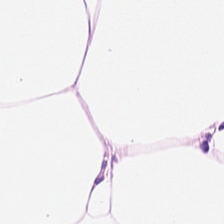Tissue type: adipocytes.
